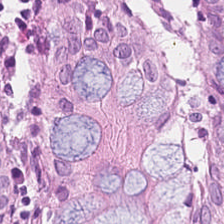H&E-stained tissue section. 224×224 pixel tile — This field is benign colonic mucosa.
